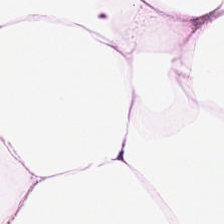Stain: H&E stain.
Tissue class: adipose.
